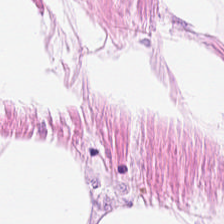FFPE tissue section; hematoxylin-and-eosin stained section.
Fat tissue.
